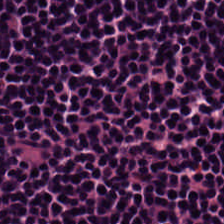Impression → lymphocytes.
